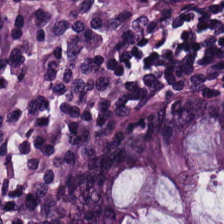0.5 µm/px; H&E.
Finding — non-neoplastic colon mucosa.
